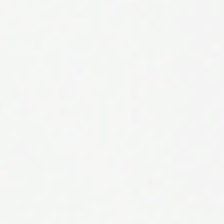H&E-stained tissue section; 0.5 µm per pixel; brightfield — Classification — background (no tissue).
